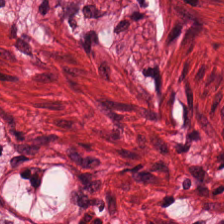FFPE · H&E stain.
Smooth-muscle tissue.
